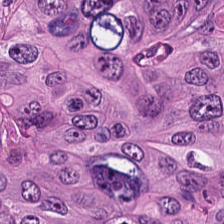Hematoxylin and eosin. FFPE tissue section. Brightfield.
Colorectal adenocarcinoma epithelium.
